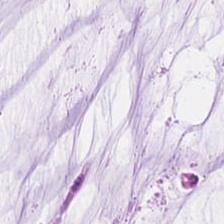Stain: hematoxylin and eosin.
Tissue: mucin.
